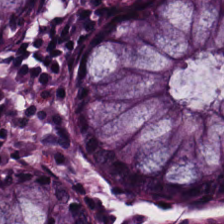H&E.
Impression — non-neoplastic colon mucosa.
